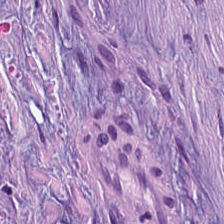H&E-stained tissue section. Predominantly cancer-associated stroma.
